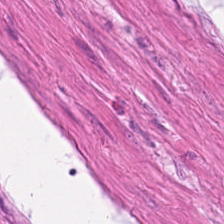{"tissue_type": "smooth-muscle tissue"}
